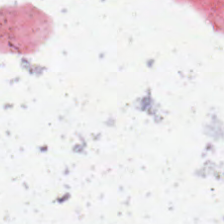H&E. 20× equivalent magnification — Empty field — background.
